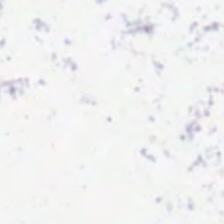Hematoxylin-and-eosin stained section — Histology — empty background.
